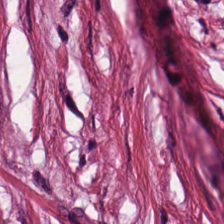H&E-stained tissue section · 0.5 µm per pixel — Q: What is the predominant tissue type?
A: The field shows tumor-associated stroma.
